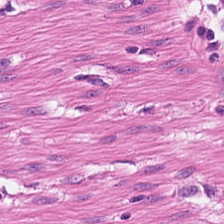0.5 µm per pixel. H&E stain.
The predominant tissue is muscularis.
